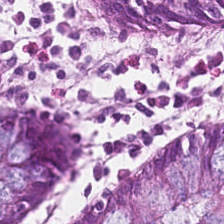Finding — normal colon mucosa.
